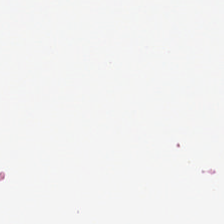Hematoxylin and eosin. Field content — empty background.
